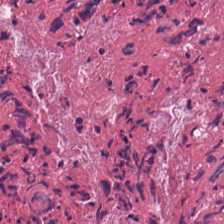224×224 px tile. 0.5 µm/px. H&E. {"tissue_type": "debris"}
